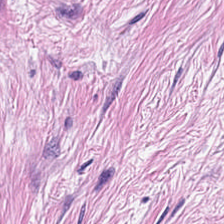Hematoxylin-and-eosin stained section; FFPE. The tissue here is tumor-associated stroma.
